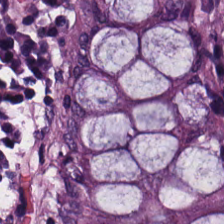H&E stain — Classification = benign colonic mucosa.
